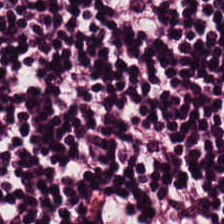Stain: H&E stain.
Tile size: 224×224 px tile.
Classification: lymphocyte aggregate.
